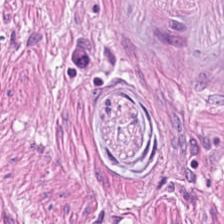H&E patch showing muscularis.
